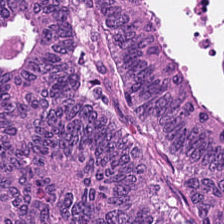H&E. Classification — malignant epithelium.
